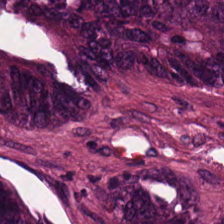H&E patch showing colorectal adenocarcinoma.
